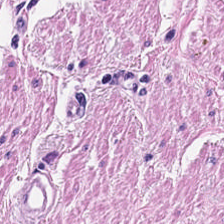Showing muscularis.
